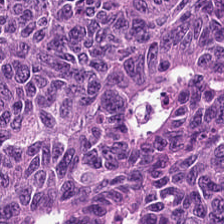20× equivalent magnification; H&E stain; 224×224 pixel tile — Tissue class: colorectal adenocarcinoma.
